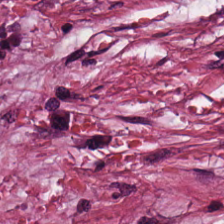Stain: hematoxylin and eosin.
Classification: tumor-associated stroma.
